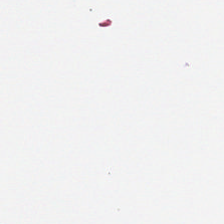224×224 px tile. H&E. Brightfield — Q: What does this patch show?
A: Empty background.
